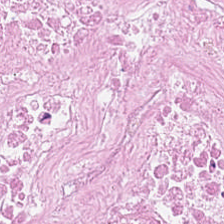This field is cellular debris.
